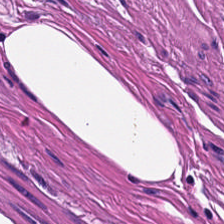{"tissue_type": "muscularis"}
